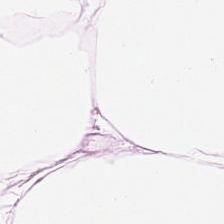Whole-slide-image patch · hematoxylin-and-eosin stained section · formalin-fixed paraffin-embedded section. This patch shows adipocytes.
